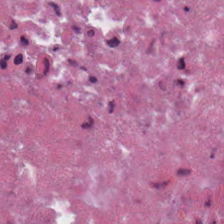H&E-stained tissue section showing necrotic debris.
